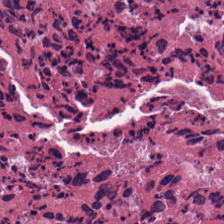Hematoxylin-and-eosin stained section. 0.5 µm per pixel. Q: Identify the tissue.
A: Debris.
